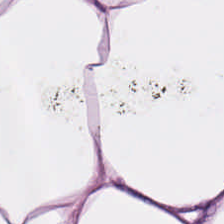Stain: hematoxylin and eosin.
Tile size: 224×224 pixel tile.
Tissue class: adipose.
